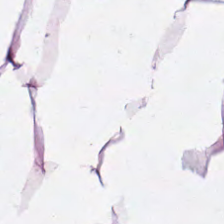Impression → adipocytes.
